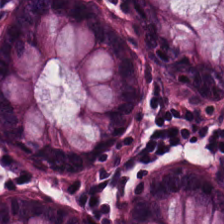Stain: H&E.
Acquisition: WSI patch.
Predominant tissue: normal colon mucosa.
